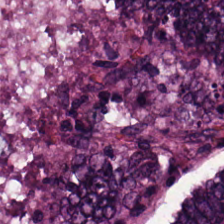H&E stain. Finding — colorectal adenocarcinoma.
